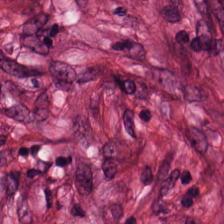224×224 px patch. H&E stain. Desmoplastic stroma.
